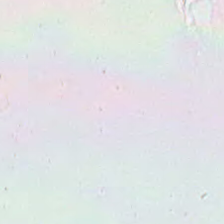H&E stain — Q: What does this patch show?
A: This is empty background.
